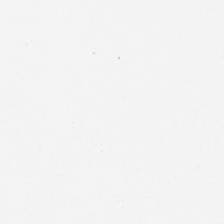Field content = background.
